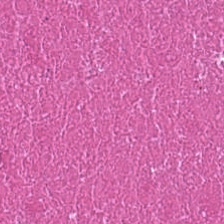H&E-stained tissue section.
The tissue here is necrotic debris.
